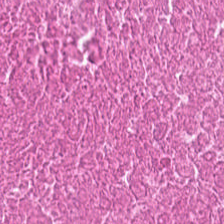H&E-stained tissue section. This patch shows necrotic debris.
